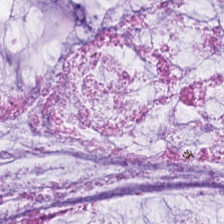Showing mucus.
